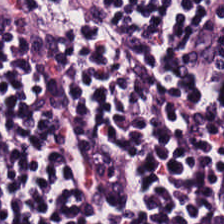Stain: H&E-stained tissue section.
Predominant tissue: lymphocytic infiltrate.
